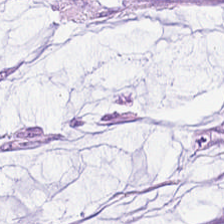H&E.
Tissue — mucus.
